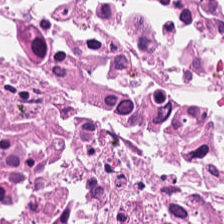Brightfield. Hematoxylin and eosin — Tissue: necrotic debris.
